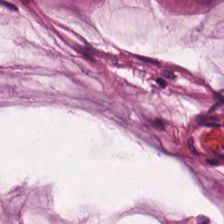H&E-stained tissue section showing extracellular mucin.
